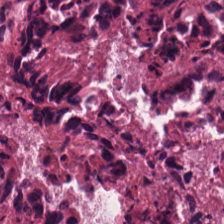Classification = necrotic debris.
